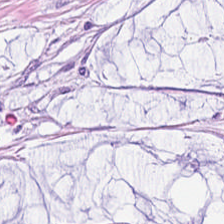Hematoxylin and eosin. Q: What is the predominant tissue type?
A: Extracellular mucin.
